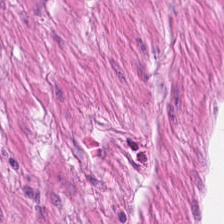224×224 px patch. 0.5 µm/px. Hematoxylin and eosin — Classification — smooth-muscle tissue.
